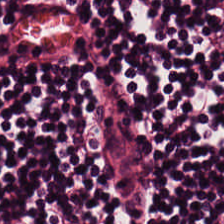Hematoxylin-and-eosin stained section.
Lymphocytic infiltrate.
